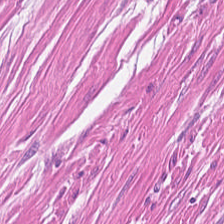Predominant tissue = muscularis.
